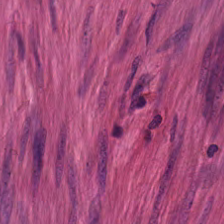Stain: hematoxylin and eosin.
Tissue class: smooth-muscle tissue.
